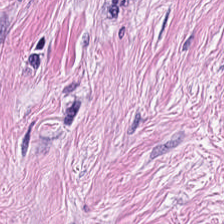H&E.
Q: What tissue type is shown here?
A: Tumor stroma.
